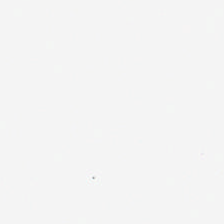{"content": "empty background"}
